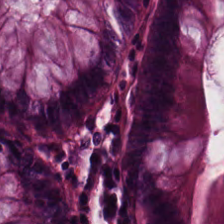H&E-stained tissue section showing benign colonic mucosa.
